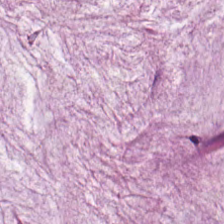Q: What tissue is shown?
A: Extracellular mucin.
